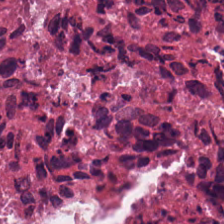H&E · whole-slide-image patch · 0.5 microns per pixel — Predominantly debris.
